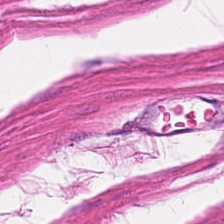H&E — Smooth-muscle tissue.
